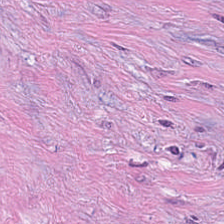Stain: H&E.
Tissue: tumor stroma.
